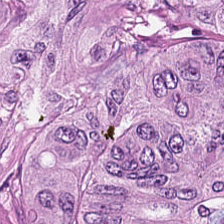Formalin-fixed paraffin-embedded section. H&E-stained tissue section. This patch shows tumor epithelium.
